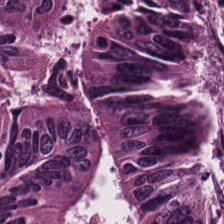224×224 px tile · hematoxylin and eosin — The tissue here is adenocarcinoma.
